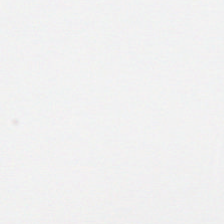{"content": "empty background"}
